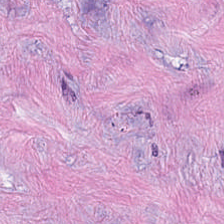Tissue = cancer-associated stroma.
